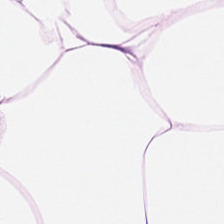H&E patch showing adipocytes.
